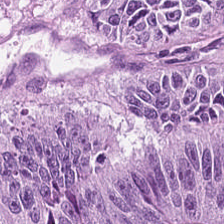0.5 µm per pixel · H&E-stained tissue section — Colorectal adenocarcinoma.
